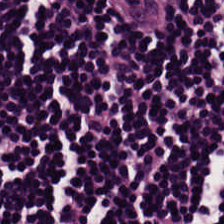224×224 px tile. H&E-stained tissue section.
Q: What tissue is shown?
A: This is lymphocyte aggregate.
